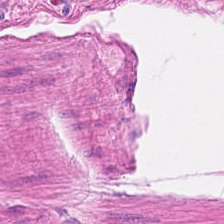The tissue here is muscularis.
